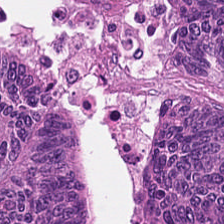H&E-stained tissue section. {"tissue_type": "colorectal adenocarcinoma"}
